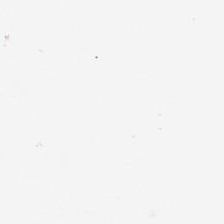224×224 px tile. Hematoxylin-and-eosin stained section. WSI patch.
This patch shows background (no tissue).
